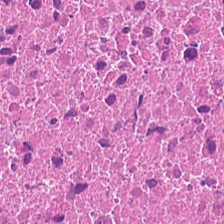H&E-stained tissue section; 224×224 pixel tile; FFPE tissue section — The tissue class is cellular debris.
